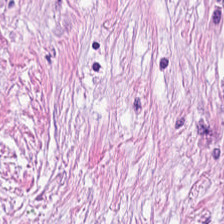Hematoxylin and eosin; 224×224 px patch — The tissue type is cancer-associated stroma.
